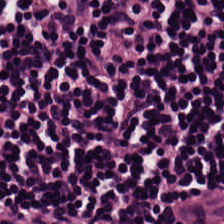This patch shows lymphocytic infiltrate.
